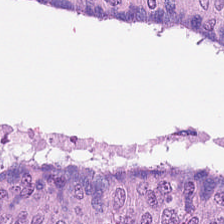Whole-slide-image patch · hematoxylin and eosin.
Finding → colorectal adenocarcinoma.
